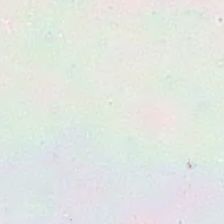20× equivalent magnification · hematoxylin and eosin · formalin-fixed paraffin-embedded section.
Q: What does this patch show?
A: It is background.
